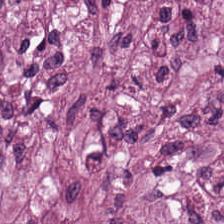Brightfield microscopy; H&E — Finding → tumor-associated stroma.
